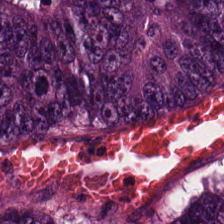Predominant tissue: tumor epithelium.
